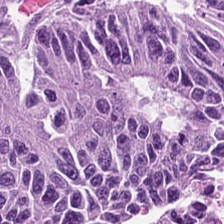{"tissue_type": "malignant epithelium"}
